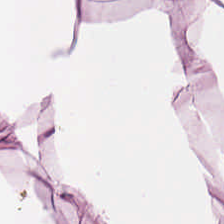Stain: H&E.
Acquisition: WSI patch.
Tissue class: fat tissue.
